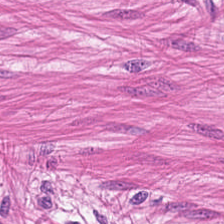H&E stain — Smooth muscle.
